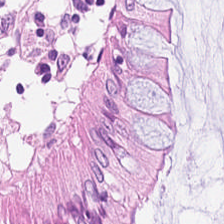Q: What tissue is shown?
A: Benign colonic mucosa.
